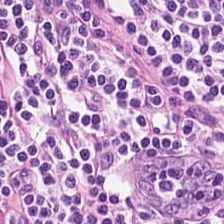224×224 px tile; FFPE; hematoxylin and eosin. Lymphocytic infiltrate.
